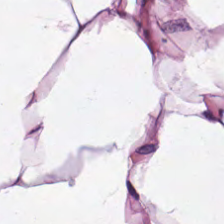H&E stain. The tissue type is adipocytes.
